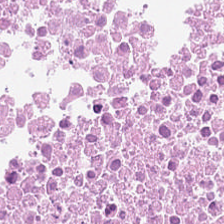H&E-stained tissue section — The tissue class is debris.
